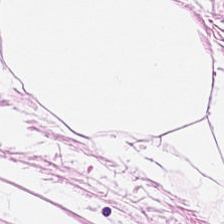0.5 µm per pixel · H&E stain — Q: What is shown in this field?
A: This is fat tissue.
